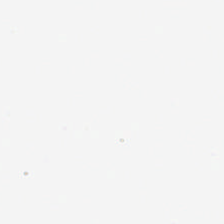Whole-slide-image patch · H&E stain · 224×224 pixel tile. Content: background (no tissue).
